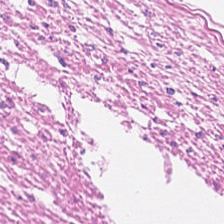H&E stain; 224×224 px tile — The predominant tissue is muscularis.
